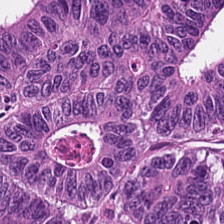H&E-stained tissue section.
The predominant tissue is tumor epithelium.
